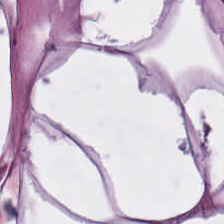H&E-stained tissue section — Finding → adipose tissue.
